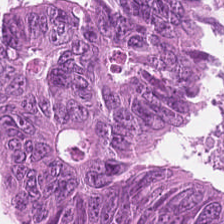H&E stain — Q: What tissue type is shown here?
A: The field shows tumor epithelium.
